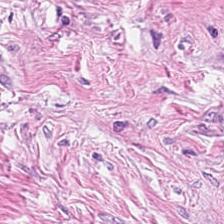Q: What tissue is shown?
A: Cancer-associated stroma.
